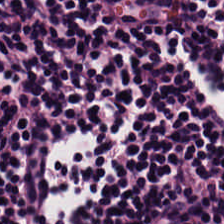Stain: hematoxylin-and-eosin stained section.
Tissue: lymphocytic infiltrate.
